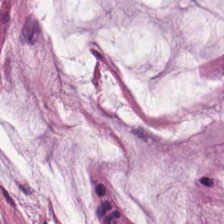224×224 pixel tile · H&E — Q: What is shown here?
A: The field shows mucin.
